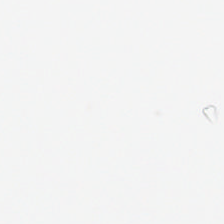Stain: H&E stain.
Preparation: formalin-fixed paraffin-embedded section.
Content: no tissue.
